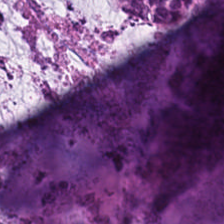H&E.
Classification — mucin.
